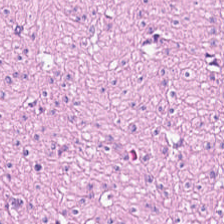H&E stain. Q: Identify the tissue.
A: Smooth-muscle tissue.
